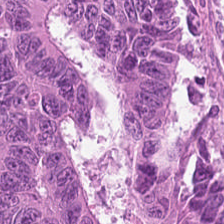H&E — Q: What is shown here?
A: It is tumor epithelium.
